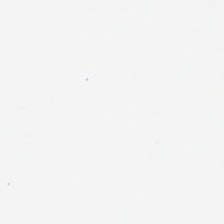H&E stain · formalin-fixed paraffin-embedded section.
Empty field — background.
